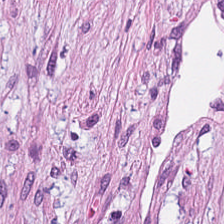0.5 microns per pixel; hematoxylin and eosin — Histology — tumor-associated stroma.
